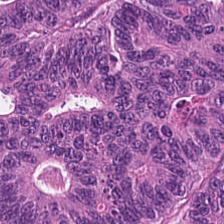0.5 µm/px; hematoxylin-and-eosin stained section. This field is malignant epithelium.
